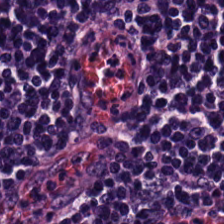Predominant tissue: lymphocytes.
